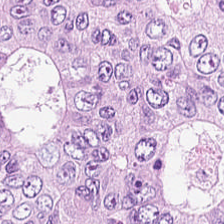H&E; 0.5 µm/px.
The tissue type is colorectal adenocarcinoma epithelium.
